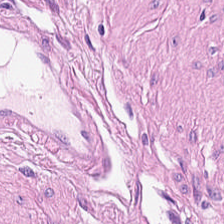WSI patch. H&E stain. Tissue — smooth muscle.
